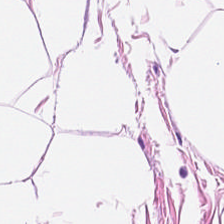Q: What is shown here?
A: Fat tissue.
